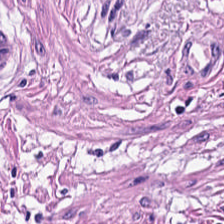Hematoxylin-and-eosin stained section.
Impression — muscularis.
